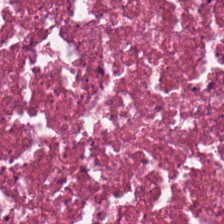20× equivalent magnification; 224×224 pixel tile; H&E-stained tissue section — Q: What does this patch show?
A: This is debris.
